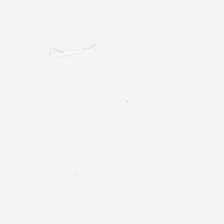Hematoxylin and eosin.
This field is background (no tissue).
